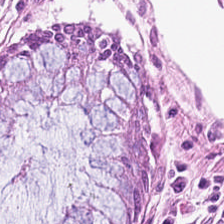The tissue here is normal colonic mucosa.
